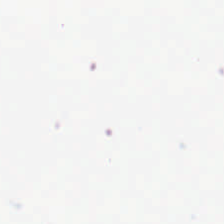Classification — background.
